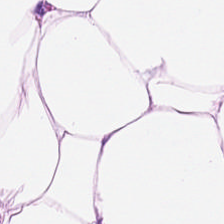Hematoxylin and eosin.
The predominant tissue is adipose.
